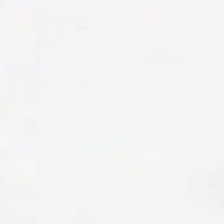Hematoxylin-and-eosin stained section · 224×224 px tile.
Impression → background (no tissue).
